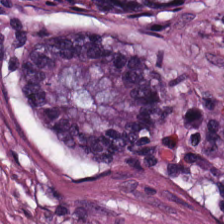{"tissue_type": "normal colonic mucosa"}
